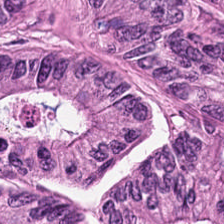Hematoxylin-and-eosin stained section. Predominantly adenocarcinoma.
